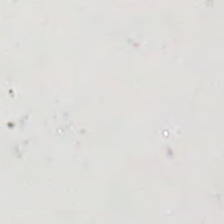Hematoxylin-and-eosin stained section — Background — no tissue in this field.
